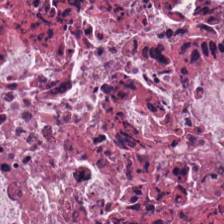H&E stain.
The tissue here is cellular debris.
